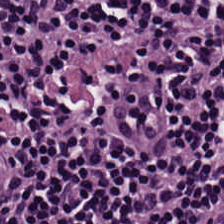H&E — Tissue — lymphoid infiltrate.
